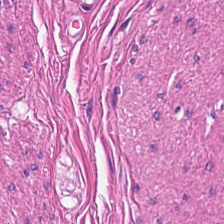Impression → smooth muscle.
